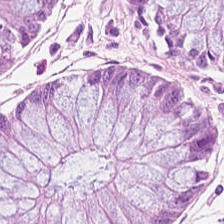Stain: hematoxylin and eosin.
Predominant tissue: normal colonic mucosa.
